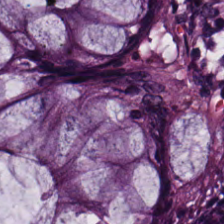H&E-stained tissue section. This field is normal colonic mucosa.
